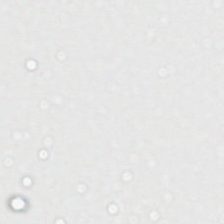WSI patch · H&E-stained tissue section · 224×224 px patch — No tissue present; background only.
